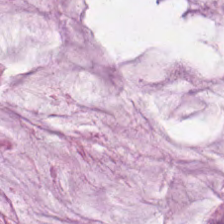Histology — mucus.
